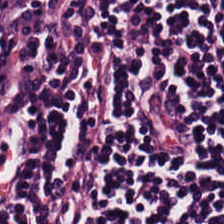Hematoxylin and eosin. Lymphocytic infiltrate.
